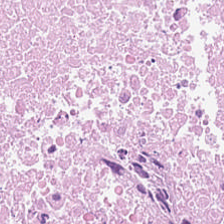224×224 px tile; hematoxylin-and-eosin stained section.
Showing debris.
